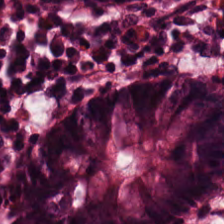H&E · brightfield microscopy. Q: Identify the tissue.
A: The field shows non-neoplastic colon mucosa.
